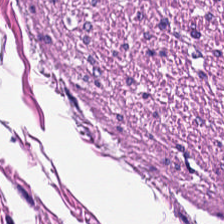H&E stain — The tissue class is smooth muscle.
